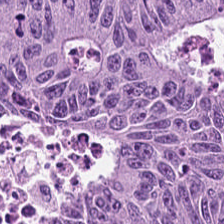H&E stain — Histology → tumor epithelium.
